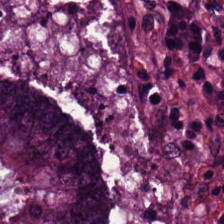Brightfield microscopy. 0.5 microns per pixel. H&E stain — Adenocarcinoma.
